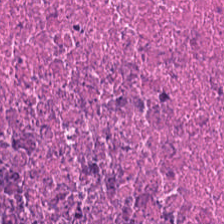0.5 µm per pixel; hematoxylin and eosin. Tissue = cellular debris.
